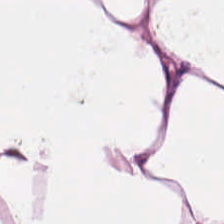H&E-stained tissue section — This field is adipocytes.
